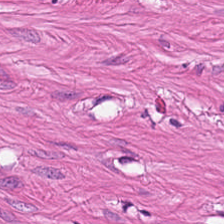Classification = muscularis.
